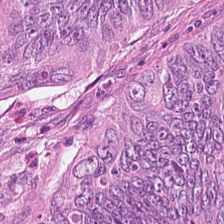Brightfield microscopy · 224×224 px patch · hematoxylin and eosin — Showing colorectal adenocarcinoma.
